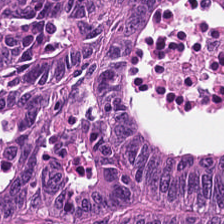Tissue class = tumor epithelium.
